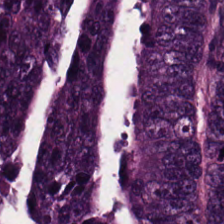H&E patch showing colorectal adenocarcinoma.
